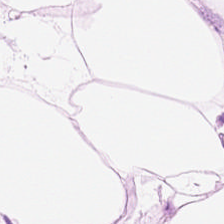H&E-stained tissue section · whole-slide-image patch.
Q: What is shown here?
A: The field shows adipocytes.
